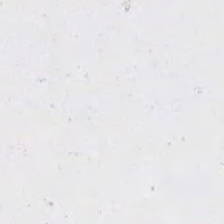Hematoxylin and eosin. Brightfield microscopy — This field is background (no tissue).
